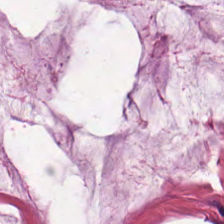Showing extracellular mucin.
